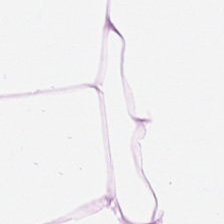H&E-stained tissue section — The predominant tissue is adipose.
